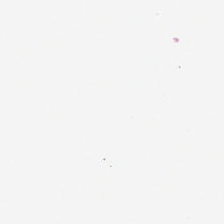0.5 µm per pixel · H&E-stained tissue section — Field content — background (no tissue).
